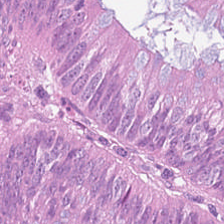WSI patch. H&E stain.
Tissue — colorectal adenocarcinoma.
